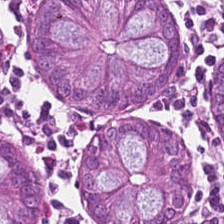H&E-stained tissue section — The tissue here is normal colonic mucosa.
